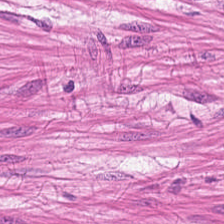20× equivalent magnification · H&E. {"tissue_type": "smooth muscle"}
